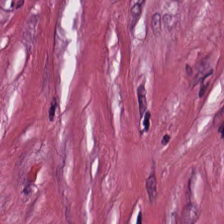Hematoxylin-and-eosin stained section. Finding — cancer-associated stroma.
